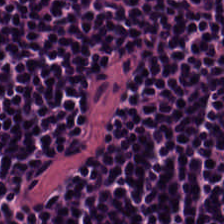This field is lymphocyte aggregate.
